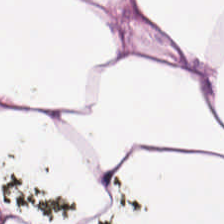0.5 microns per pixel. Hematoxylin-and-eosin stained section. 224×224 px tile — Q: Identify the tissue.
A: It is fat tissue.
